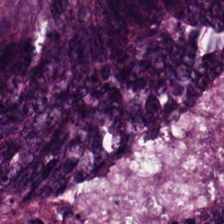Hematoxylin-and-eosin stained section. 224×224 pixel tile.
Predominantly tumor epithelium.
